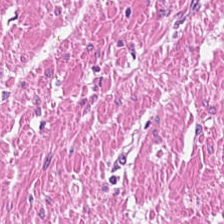H&E-stained tissue section. WSI patch — This patch shows smooth muscle.
